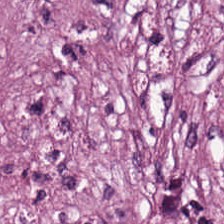0.5 microns per pixel; FFPE tissue section; H&E.
Predominant tissue — tumor stroma.
